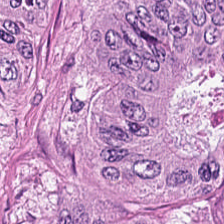20× equivalent magnification. H&E-stained tissue section — This field is colorectal adenocarcinoma.
